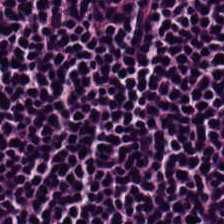Hematoxylin and eosin. Q: What is the predominant tissue type?
A: The field shows lymphoid infiltrate.
